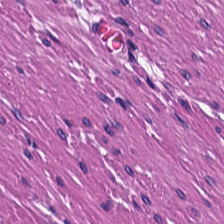Finding — smooth-muscle tissue.
